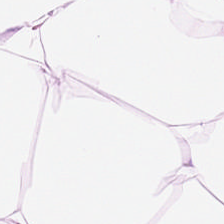H&E stain · formalin-fixed paraffin-embedded section · WSI patch. Adipocytes.
